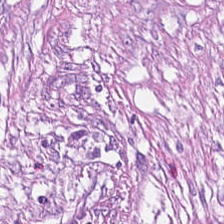Hematoxylin-and-eosin stained section — This field is desmoplastic stroma.
